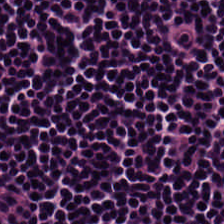Predominant tissue = lymphocyte aggregate.
